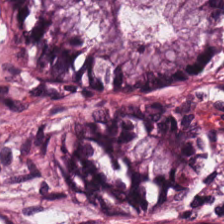H&E.
Predominant tissue = benign colonic mucosa.
